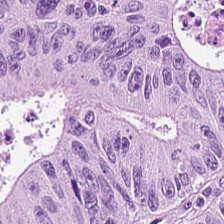224×224 pixel tile; hematoxylin-and-eosin stained section; 0.5 microns per pixel.
Q: What does this patch show?
A: The field shows adenocarcinoma.
